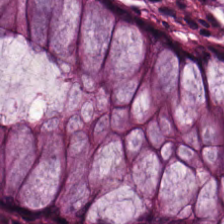Histology → normal colonic mucosa.
